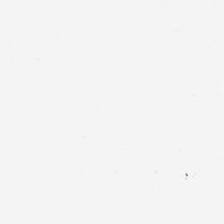H&E-stained tissue section. Field content: no tissue.
